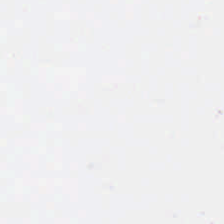0.5 microns per pixel. 224×224 px tile. H&E stain. Field content: no tissue.
